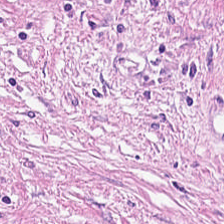WSI patch; hematoxylin-and-eosin stained section; 224×224 pixel tile. Q: What is the predominant tissue type?
A: Cancer-associated stroma.
